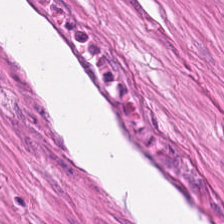Hematoxylin and eosin — The classification is smooth-muscle tissue.
